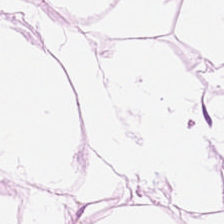0.5 µm/px. Hematoxylin and eosin.
The tissue here is adipose.
